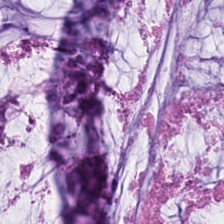Stain: H&E stain.
Acquisition: brightfield microscopy.
Predominant tissue: extracellular mucin.
